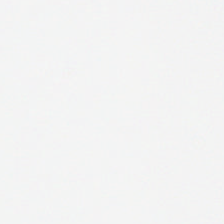Hematoxylin and eosin. Q: What is shown here?
A: The field shows background.
